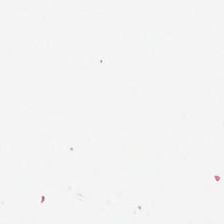{"content": "empty background"}
